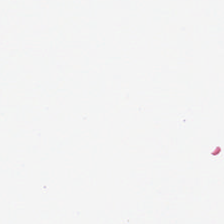H&E stain — This patch shows empty background.
